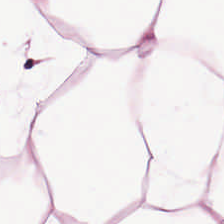H&E-stained tissue section.
Impression — adipocytes.
